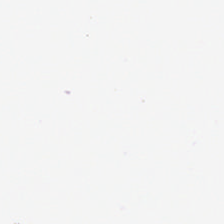H&E; whole-slide-image patch. The classification is background (no tissue).
